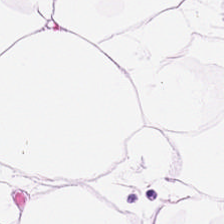H&E-stained tissue section — Tissue type = adipocytes.
